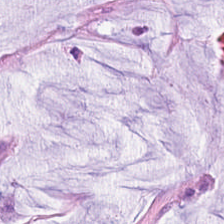Brightfield; H&E-stained tissue section. Tissue: mucus.
